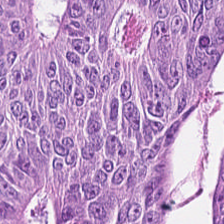WSI patch; H&E stain — Tissue class — colorectal adenocarcinoma epithelium.
